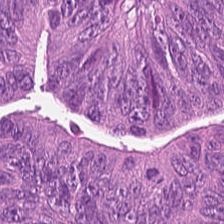FFPE tissue section; hematoxylin and eosin. The tissue type is colorectal adenocarcinoma.
